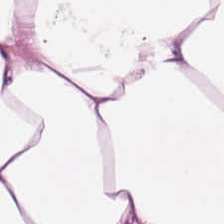Impression — adipose.
